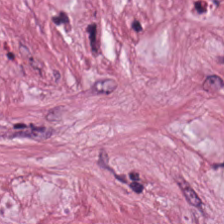Tissue type: tumor stroma.
